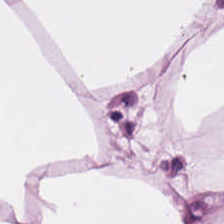Stain: hematoxylin-and-eosin stained section.
Resolution: 0.5 microns per pixel.
Predominant tissue: adipose tissue.
